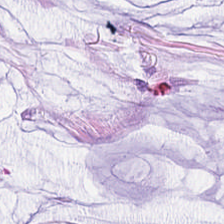H&E stain — The predominant tissue is extracellular mucin.
